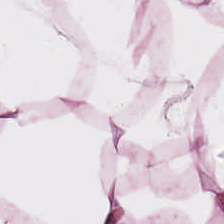H&E-stained tissue section · 20× equivalent magnification.
Q: Classify this patch.
A: Adipocytes.
